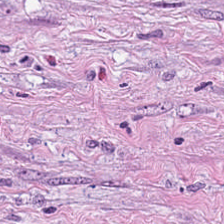H&E-stained tissue section.
This patch shows tumor stroma.
